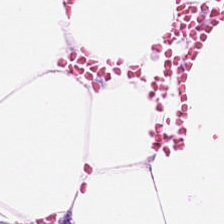Hematoxylin and eosin — Q: What tissue type is shown here?
A: It is fat tissue.
